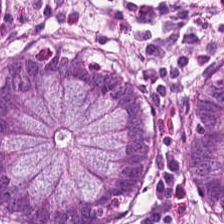H&E stain · 224×224 px tile — Q: What is shown in this field?
A: The field shows non-neoplastic colon mucosa.
